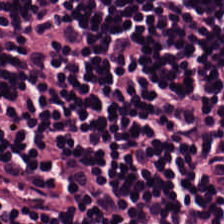H&E stain · 224×224 px patch · WSI patch — Q: What tissue type is shown here?
A: This is lymphoid infiltrate.
